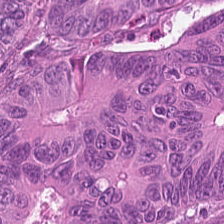Hematoxylin-and-eosin stained section. Predominantly colorectal adenocarcinoma epithelium.
